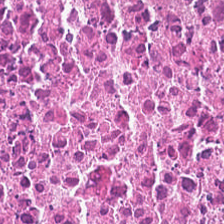0.5 µm/px. Hematoxylin and eosin. FFPE — Q: What is shown in this field?
A: Cellular debris.
